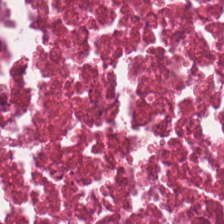H&E stain. This field is debris.
